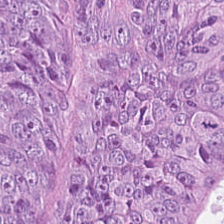Hematoxylin-and-eosin stained section. Predominantly colorectal adenocarcinoma epithelium.
